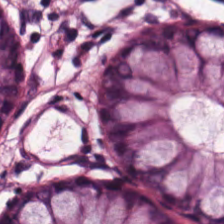H&E-stained tissue section. Impression — normal colon mucosa.
